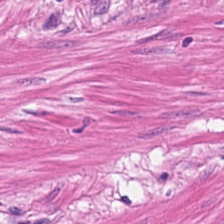Q: What is shown in this field?
A: This is smooth-muscle tissue.
